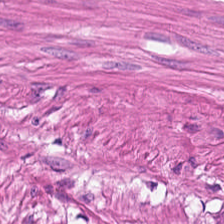This field is smooth-muscle tissue.
